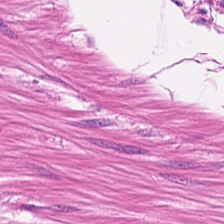Hematoxylin-and-eosin stained section; formalin-fixed paraffin-embedded section. Q: What tissue is shown?
A: It is smooth-muscle tissue.
